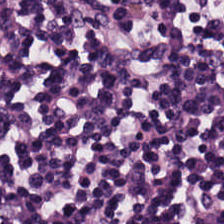H&E-stained section; the field shows lymphocytes.
